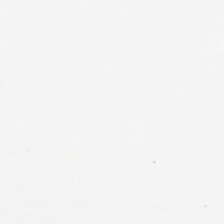WSI patch; H&E-stained tissue section.
Content: background.
